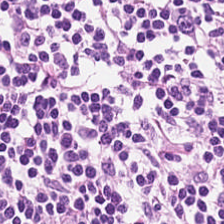FFPE · hematoxylin and eosin.
Finding — lymphoid infiltrate.
